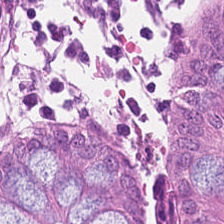Tissue class — normal colonic mucosa.
